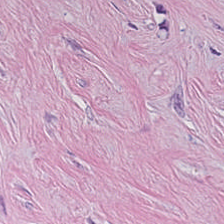Whole-slide-image patch. 20× equivalent magnification. Hematoxylin-and-eosin stained section.
Tumor stroma.
